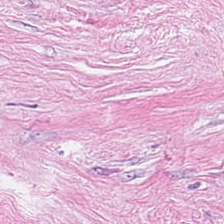H&E stain; FFPE tissue section — Tissue class — tumor-associated stroma.
